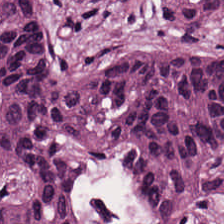Brightfield microscopy · hematoxylin and eosin — Showing malignant epithelium.
